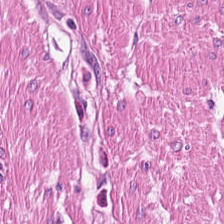Stain: H&E.
Classification: muscularis.
